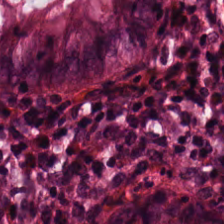Stain: H&E-stained tissue section.
Predominant tissue: non-neoplastic colon mucosa.
